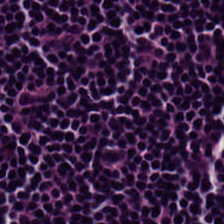Hematoxylin-and-eosin stained section. 0.5 µm/px — Tissue type = lymphocyte aggregate.
